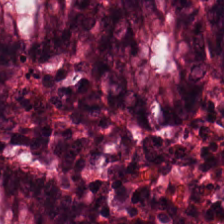The predominant tissue is non-neoplastic colon mucosa.
